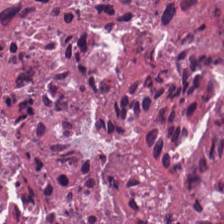Formalin-fixed paraffin-embedded section. Brightfield microscopy. H&E-stained tissue section.
Predominant tissue — necrotic debris.
